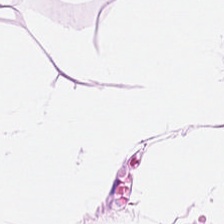224×224 pixel tile · hematoxylin-and-eosin stained section.
Predominantly fat tissue.
